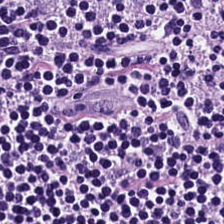H&E stain · 224×224 px patch — Predominantly lymphoid infiltrate.
